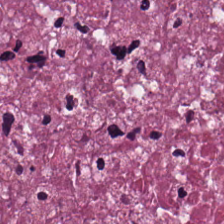Stain: hematoxylin-and-eosin stained section.
Preparation: FFPE.
Classification: cellular debris.
